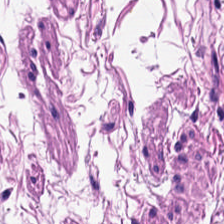H&E-stained tissue section · brightfield. Predominantly smooth-muscle tissue.
